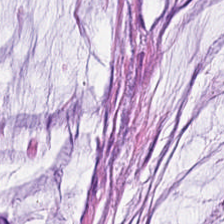H&E-stained tissue section. Whole-slide-image patch.
Q: What is the predominant tissue type?
A: It is mucin.
